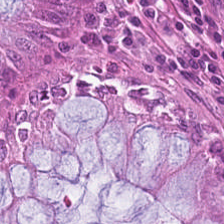H&E stain — Classification: normal colon mucosa.
